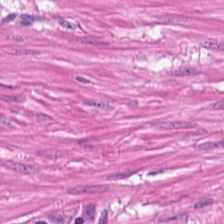H&E-stained tissue section. 0.5 µm/px.
Q: What is the predominant tissue type?
A: The field shows smooth muscle.
